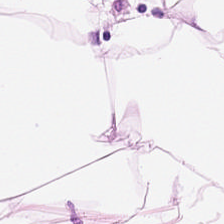H&E — adipocytes.
